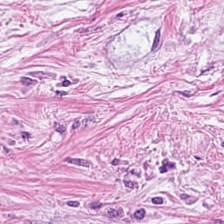Hematoxylin-and-eosin stained section — The predominant tissue is cancer-associated stroma.
